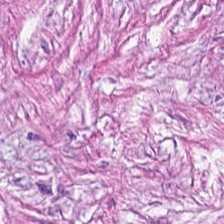Stain: H&E stain.
Tissue type: tumor-associated stroma.
